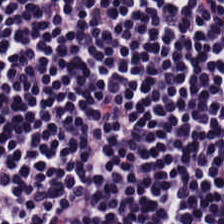224×224 pixel tile · 20× equivalent magnification · H&E stain.
Lymphocyte aggregate.
